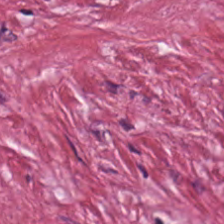The tissue is tumor stroma.
